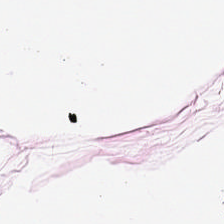H&E stain. Adipose tissue.
